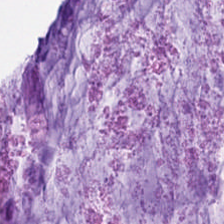Tissue: mucus.
